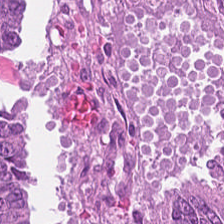This patch shows adenocarcinoma.
